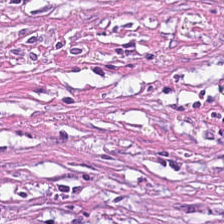H&E.
The tissue here is tumor-associated stroma.
